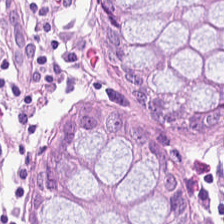Stain: H&E.
Tissue class: normal colonic mucosa.
